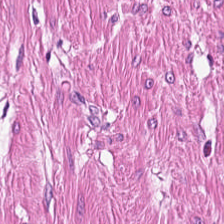0.5 µm/px · H&E-stained tissue section — The tissue is smooth-muscle tissue.
